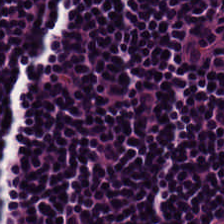Hematoxylin and eosin — Predominantly lymphocytic infiltrate.
